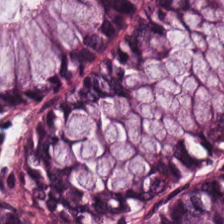Hematoxylin and eosin.
Benign colonic mucosa.
